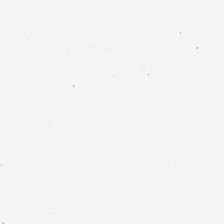Hematoxylin and eosin — Impression — background.
